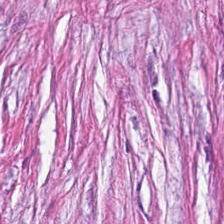H&E-stained tissue section. The predominant tissue is desmoplastic stroma.
